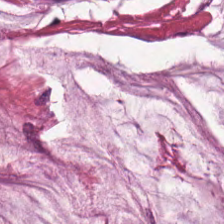Hematoxylin and eosin. Q: Identify the tissue.
A: It is extracellular mucin.
